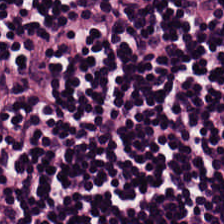H&E stain. Lymphocytic infiltrate.
